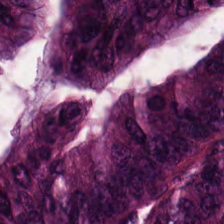20× equivalent magnification; hematoxylin and eosin; formalin-fixed paraffin-embedded section. Q: Classify this patch.
A: This is adenocarcinoma.
